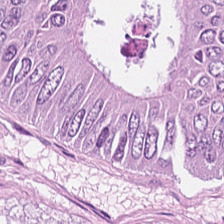The predominant tissue is tumor epithelium.
